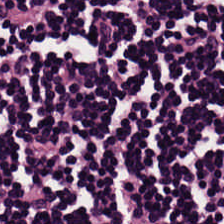0.5 µm per pixel · brightfield · H&E stain — Predominant tissue — lymphocytes.
